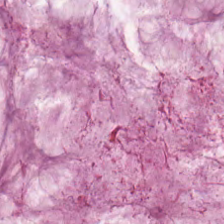FFPE · 224×224 px patch · hematoxylin-and-eosin stained section — Histology — mucin.
